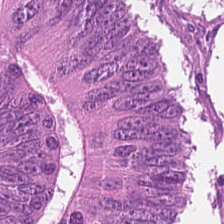Hematoxylin and eosin.
{"tissue_type": "malignant epithelium"}
